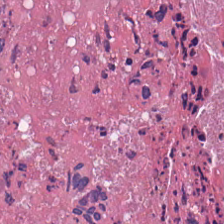Hematoxylin-and-eosin stained section — {"tissue_type": "necrotic debris"}
